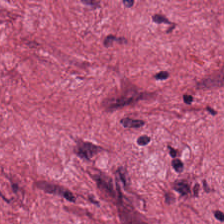{"tissue_type": "desmoplastic stroma"}
